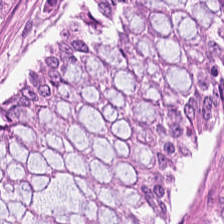Stain: hematoxylin and eosin.
Predominant tissue: normal colon mucosa.
